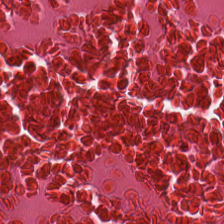224×224 px tile · hematoxylin-and-eosin stained section · 20× equivalent magnification — The predominant tissue is necrotic debris.
